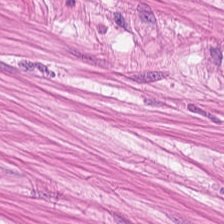Hematoxylin and eosin — {"tissue_type": "muscularis"}
